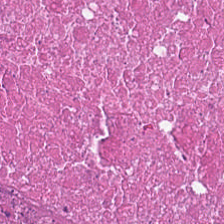Histology → debris.
